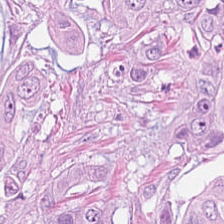Stain: H&E stain.
Tissue class: malignant epithelium.
